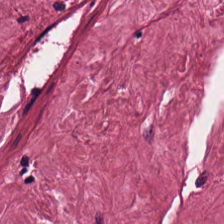Stain: H&E-stained tissue section.
Predominant tissue: cancer-associated stroma.
